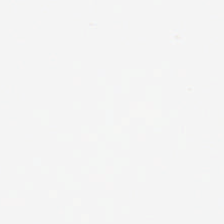Stain: H&E.
Field content: background.
